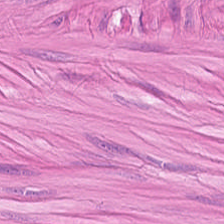224×224 px patch. 0.5 µm per pixel. H&E.
This field is smooth-muscle tissue.
